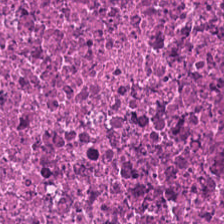Hematoxylin-and-eosin stained section. 224×224 px tile.
Histology — cellular debris.
